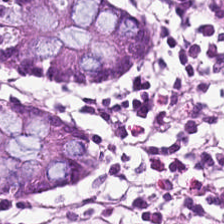224×224 pixel tile. WSI patch. H&E. Normal colonic mucosa.
